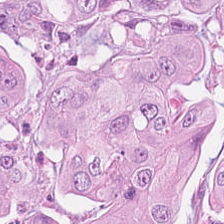Hematoxylin-and-eosin stained section. Formalin-fixed paraffin-embedded section — This patch shows tumor epithelium.
